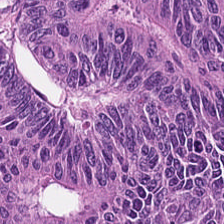20× equivalent magnification · H&E — The tissue is adenocarcinoma.
